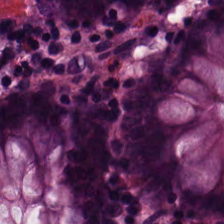Hematoxylin-and-eosin stained section — Showing normal colon mucosa.
